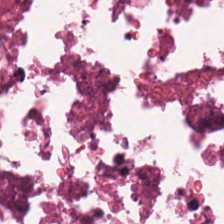H&E. 224×224 px tile. This patch shows cellular debris.
